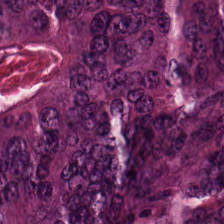H&E stain. Q: What tissue type is shown here?
A: This is colorectal adenocarcinoma.
